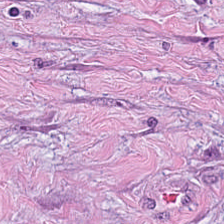Q: What tissue is shown?
A: This is tumor-associated stroma.
